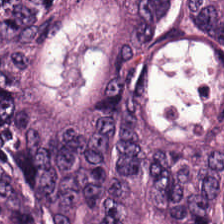0.5 microns per pixel. Hematoxylin and eosin — Q: What is the predominant tissue type?
A: The field shows malignant epithelium.
